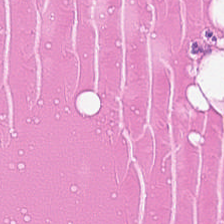Hematoxylin and eosin.
The classification is necrotic debris.
